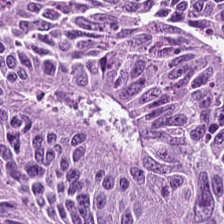Hematoxylin and eosin · FFPE tissue section · 20× equivalent magnification. Q: What is the predominant tissue type?
A: The field shows malignant epithelium.
